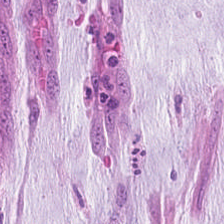H&E — The predominant tissue is mucus.
